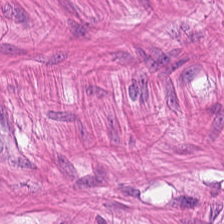224×224 px tile · H&E-stained tissue section. This field is smooth-muscle tissue.
